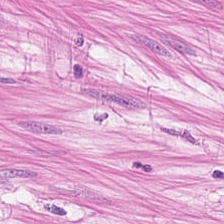H&E. This patch shows smooth muscle.
